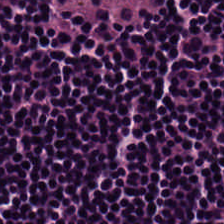224×224 px patch. Formalin-fixed paraffin-embedded section. H&E stain.
Showing lymphocytes.
